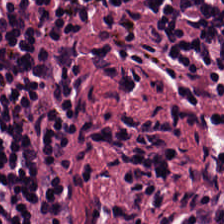Whole-slide-image patch; H&E. Q: What is the predominant tissue type?
A: This is lymphoid infiltrate.
